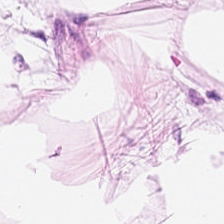Hematoxylin and eosin.
This patch shows adipocytes.
